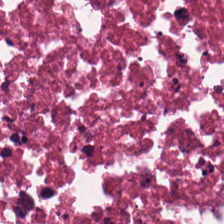Stain: H&E-stained tissue section.
Preparation: formalin-fixed paraffin-embedded section.
Classification: cellular debris.
